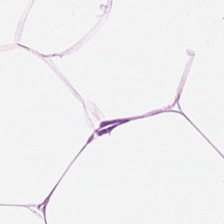Stain: hematoxylin and eosin.
Tissue: adipose tissue.
